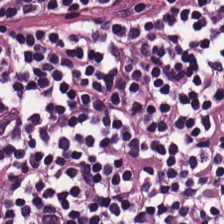Stain: H&E stain.
Classification: lymphoid infiltrate.
